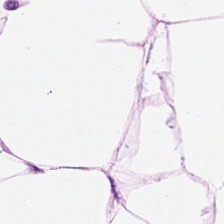Impression — adipose tissue.
